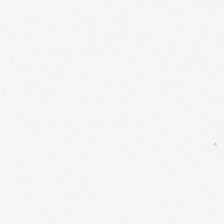Finding — no tissue.
